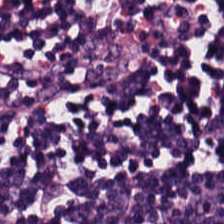H&E. Histology → lymphocytes.
